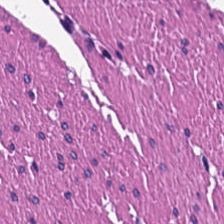Q: What type of tissue is this?
A: This is smooth muscle.
